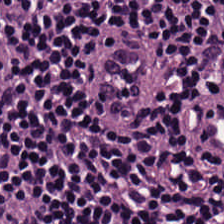Brightfield microscopy. H&E. The tissue here is lymphoid infiltrate.
